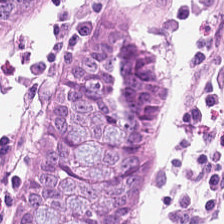Hematoxylin and eosin. This field is benign colonic mucosa.
